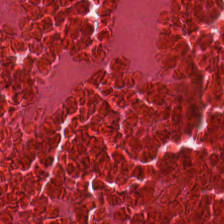Hematoxylin and eosin.
Impression → cellular debris.
